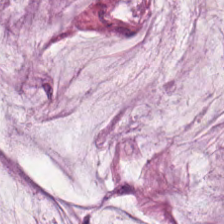Mucin.
